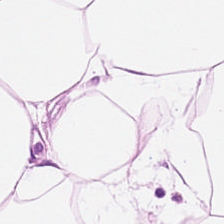Classification: adipose tissue.
